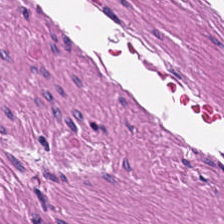WSI patch. Hematoxylin-and-eosin stained section. Formalin-fixed paraffin-embedded section. Finding — muscularis.
